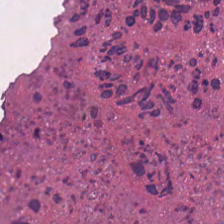H&E-stained tissue section; FFPE — Tissue class — necrotic debris.
